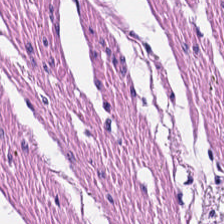H&E patch showing smooth muscle.
